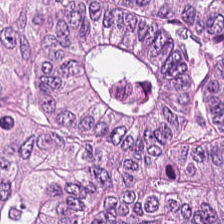224×224 pixel tile; hematoxylin and eosin.
Predominantly colorectal adenocarcinoma epithelium.
